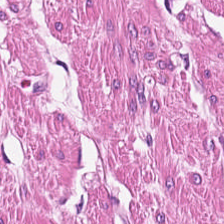Hematoxylin and eosin; brightfield microscopy.
Muscularis.
